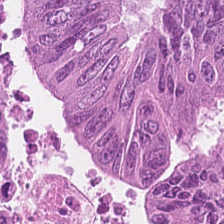H&E-stained tissue section. 224×224 px tile.
The tissue here is adenocarcinoma.
